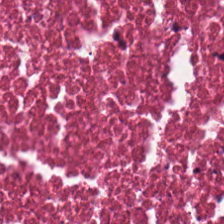Q: What tissue is shown?
A: It is necrotic debris.
